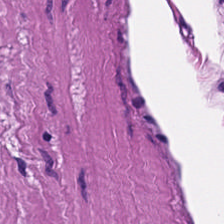Brightfield microscopy; H&E stain.
Histology — smooth-muscle tissue.
